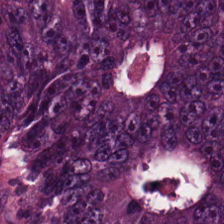224×224 px patch. H&E. {"tissue_type": "adenocarcinoma"}
